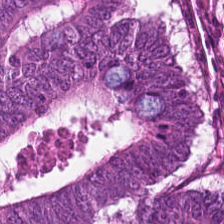H&E-stained tissue section · WSI patch — This patch shows malignant epithelium.
